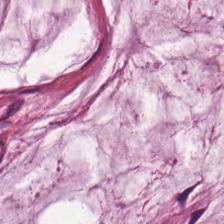Tissue: extracellular mucin.
